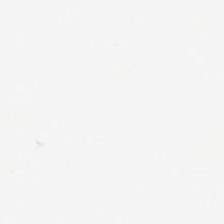Q: Classify this patch.
A: This is empty background.
